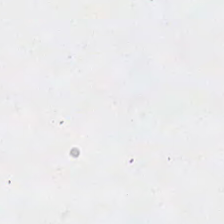This field is background (no tissue).
